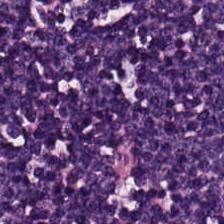H&E stain. Impression — lymphocytic infiltrate.
